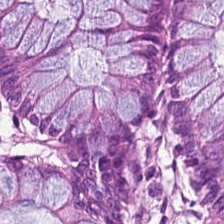H&E stain.
Tissue class: normal colon mucosa.
